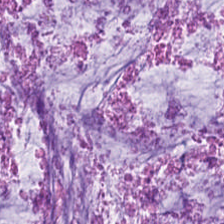Q: What is shown in this field?
A: It is mucin.
